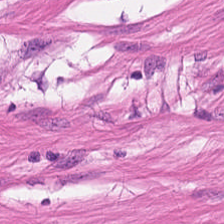H&E; formalin-fixed paraffin-embedded section; 224×224 pixel tile — Impression — muscularis.
